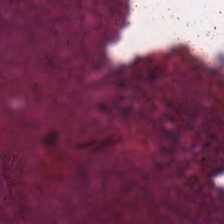Hematoxylin-and-eosin stained section — The predominant tissue is necrotic debris.
